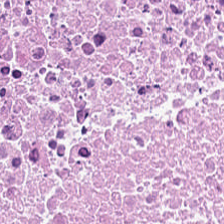Hematoxylin and eosin · FFPE tissue section — Showing debris.
